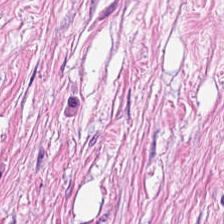H&E · 224×224 px patch.
Histology — cancer-associated stroma.
